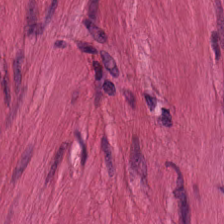Stain: H&E stain.
Tissue type: muscularis.
